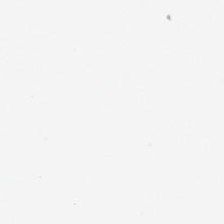0.5 microns per pixel. Hematoxylin-and-eosin stained section — Background — no tissue in this field.
